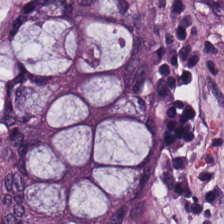Hematoxylin and eosin; whole-slide-image patch; 0.5 µm/px — Finding — normal colonic mucosa.
